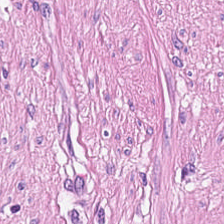224×224 pixel tile. 20× equivalent magnification. H&E. Tissue class = smooth-muscle tissue.
